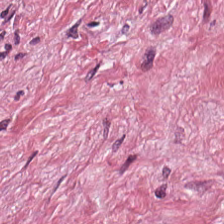FFPE tissue section · H&E stain.
The tissue class is cancer-associated stroma.
